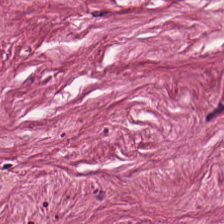H&E stain · FFPE.
Predominantly tumor-associated stroma.
